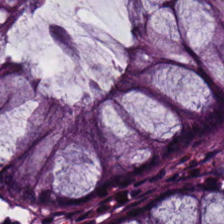0.5 µm per pixel; hematoxylin and eosin; brightfield.
Q: Identify the tissue.
A: It is benign colonic mucosa.
